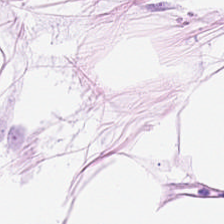H&E stain; 224×224 px tile; brightfield microscopy. Predominantly adipose.
